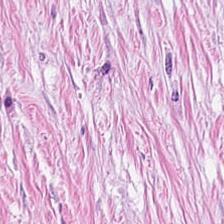{"tissue_type": "tumor stroma"}
